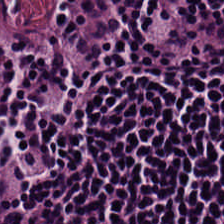Hematoxylin-and-eosin stained section.
The tissue is lymphocytic infiltrate.
